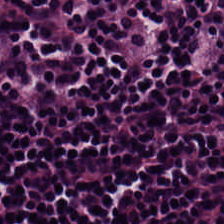Q: Classify this patch.
A: This is lymphoid infiltrate.
